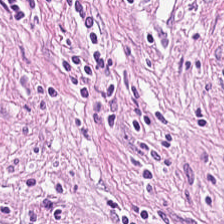Whole-slide-image patch. 224×224 pixel tile. H&E stain. This field is cancer-associated stroma.
